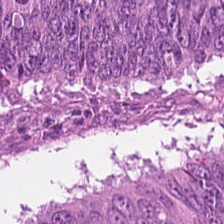224×224 px patch · H&E. Adenocarcinoma.
